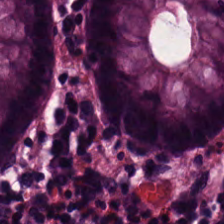Hematoxylin and eosin.
Tissue type = normal colon mucosa.
